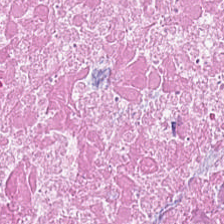H&E-stained tissue section — Debris.
